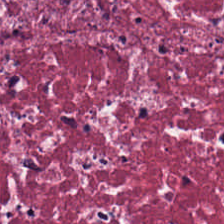Stain: H&E-stained tissue section.
Resolution: 0.5 µm per pixel.
Tile size: 224×224 px patch.
Tissue type: desmoplastic stroma.
